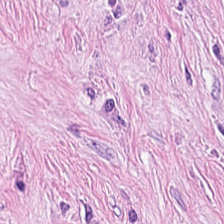Hematoxylin and eosin. Tissue = cancer-associated stroma.
